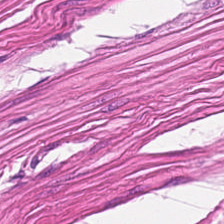Hematoxylin-and-eosin stained section.
Q: Identify the tissue.
A: This is smooth-muscle tissue.
